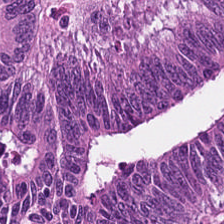H&E-stained tissue section. This field is tumor epithelium.
